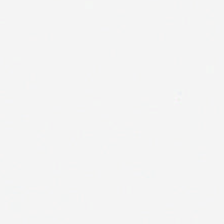H&E stain.
Q: What is shown here?
A: It is background (no tissue).
